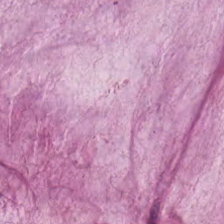Tissue type — extracellular mucin.
